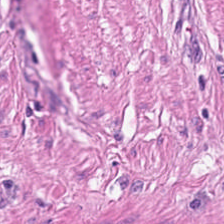Stain: hematoxylin and eosin.
Predominant tissue: muscularis.
